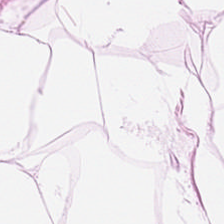0.5 µm per pixel · H&E-stained tissue section.
This patch shows adipocytes.
